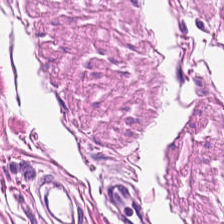H&E-stained tissue section · 0.5 µm per pixel · 224×224 px tile. Muscularis.
